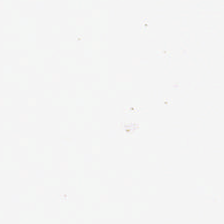Background — no tissue in this field.
